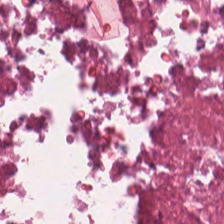H&E — The predominant tissue is cellular debris.
